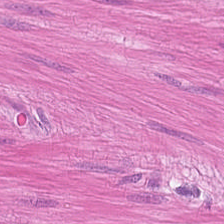H&E stain.
The tissue here is smooth muscle.
